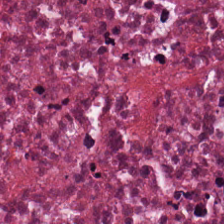H&E stain. Tissue type — necrotic debris.
